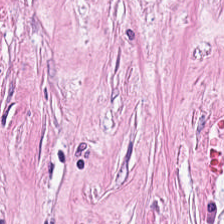H&E-stained tissue section; 224×224 px patch; 0.5 µm per pixel — Impression → tumor-associated stroma.
